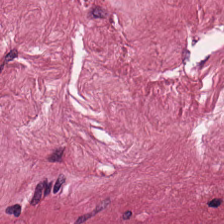H&E — Finding → tumor stroma.
